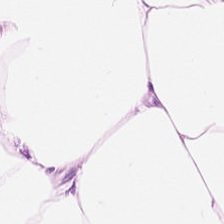Q: What is the predominant tissue type?
A: The field shows fat tissue.
